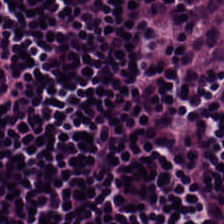H&E-stained tissue section; FFPE; 224×224 px patch — Finding — lymphoid infiltrate.
